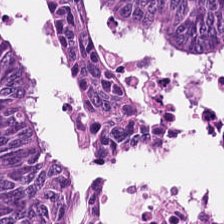Hematoxylin and eosin. 20× equivalent magnification.
The tissue here is colorectal adenocarcinoma epithelium.
